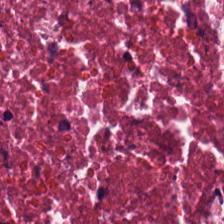H&E — The predominant tissue is debris.
